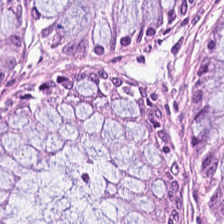The classification is normal colonic mucosa.
